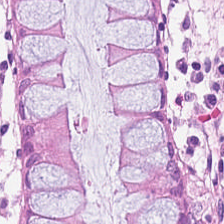This field is benign colonic mucosa.
